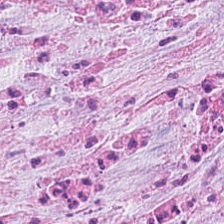Hematoxylin-and-eosin stained section. Tissue — tumor-associated stroma.
